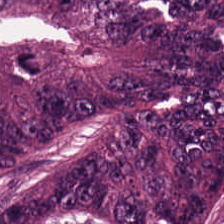Whole-slide-image patch. H&E-stained tissue section. Impression — colorectal adenocarcinoma epithelium.
